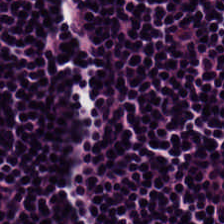H&E; FFPE — The tissue here is lymphocyte aggregate.
